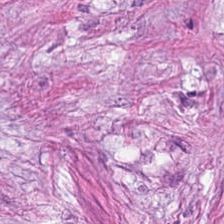Tissue type = desmoplastic stroma.
